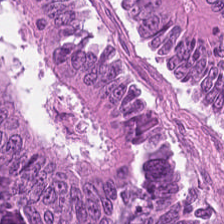0.5 µm/px. Hematoxylin and eosin. Classification = tumor epithelium.
